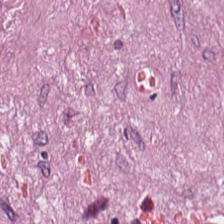Tissue class — tumor stroma.
